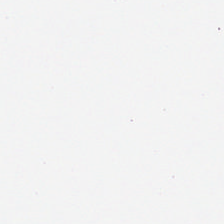Hematoxylin and eosin. 0.5 µm per pixel. FFPE — Q: What is shown in this field?
A: This is background.
